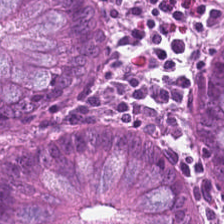20× equivalent magnification. H&E stain. 224×224 px patch. The tissue class is normal colonic mucosa.
